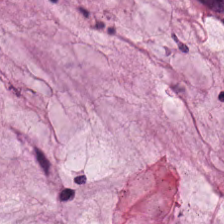Hematoxylin and eosin.
Showing mucus.
